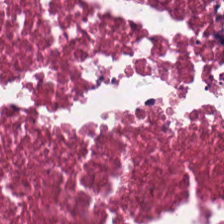Classification — debris.
